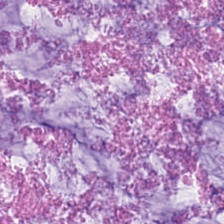Stain: H&E-stained tissue section.
Tile size: 224×224 px patch.
Preparation: FFPE.
Classification: extracellular mucin.
